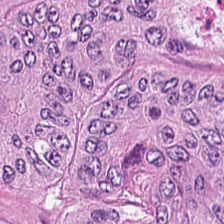0.5 µm/px. Hematoxylin and eosin. This field is malignant epithelium.
